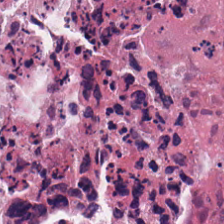Hematoxylin-and-eosin stained section. Tissue: necrotic debris.
